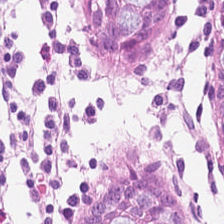H&E.
The predominant tissue is non-neoplastic colon mucosa.
